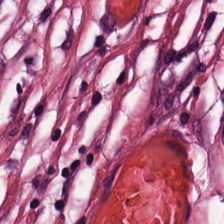Q: What tissue type is shown here?
A: The field shows desmoplastic stroma.
